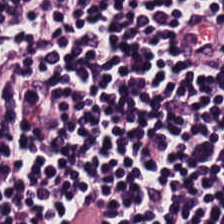H&E.
Histology — lymphocytic infiltrate.
